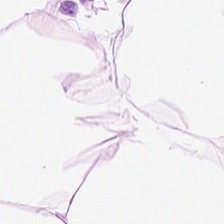H&E-stained tissue section · formalin-fixed paraffin-embedded section.
Showing adipose.
